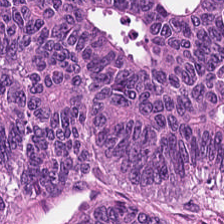0.5 microns per pixel · brightfield microscopy · H&E stain — Q: What is shown here?
A: The field shows tumor epithelium.
